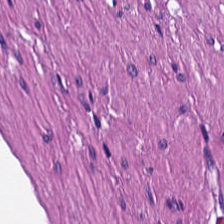H&E-stained section; the field shows smooth muscle.
